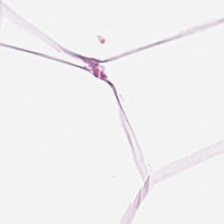H&E.
Adipose.
